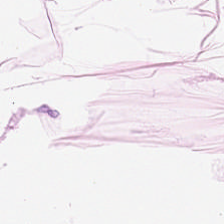Hematoxylin-and-eosin stained section. Tissue type = fat tissue.
